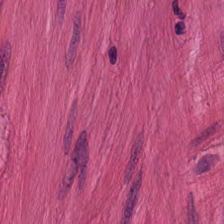Impression — smooth-muscle tissue.
